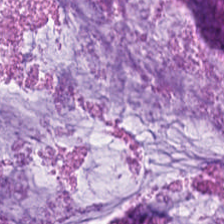Formalin-fixed paraffin-embedded section · hematoxylin-and-eosin stained section — Predominantly mucus.
